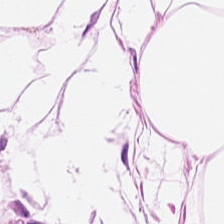H&E.
Fat tissue.
